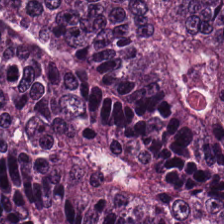H&E; FFPE; brightfield. Q: What is the predominant tissue type?
A: This is tumor epithelium.
